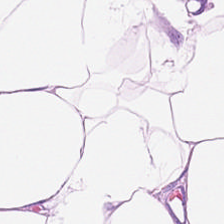Q: What type of tissue is this?
A: It is adipose.
